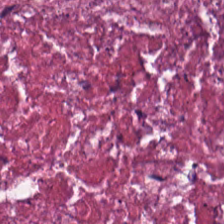Showing debris.
